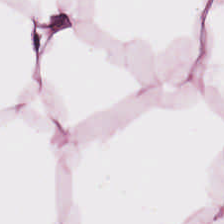20× equivalent magnification. H&E-stained tissue section. 224×224 px patch. Q: What tissue is shown?
A: This is adipose tissue.
